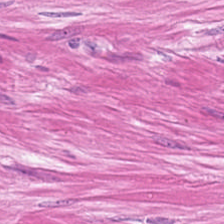0.5 µm/px. Hematoxylin-and-eosin stained section. Brightfield microscopy — Q: What is shown in this field?
A: Muscularis.
